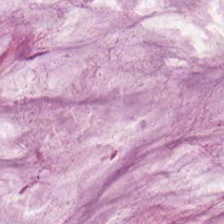Stain: H&E.
Classification: mucin.
